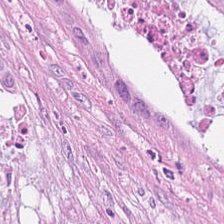H&E stain.
This field is adenocarcinoma.
